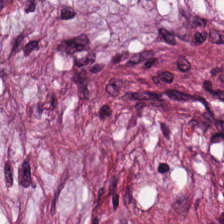Hematoxylin and eosin.
Tissue type = tumor-associated stroma.
